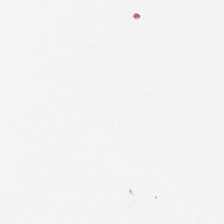Hematoxylin and eosin.
Q: What does this patch show?
A: No tissue.
